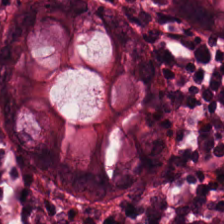H&E-stained tissue section · brightfield microscopy · 0.5 µm per pixel.
Classification: normal colonic mucosa.
